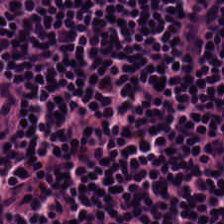224×224 pixel tile · hematoxylin and eosin.
Tissue — lymphocytic infiltrate.
